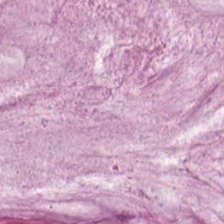224×224 pixel tile. H&E. Finding → mucin.
